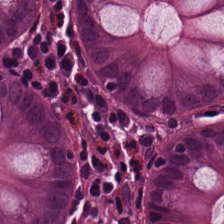Hematoxylin and eosin.
{"tissue_type": "non-neoplastic colon mucosa"}
